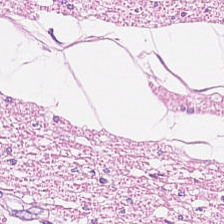H&E.
Showing smooth-muscle tissue.
